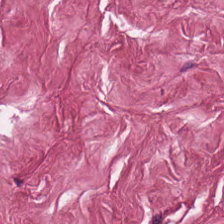Brightfield microscopy · H&E-stained tissue section · 0.5 microns per pixel — Tissue: tumor stroma.
